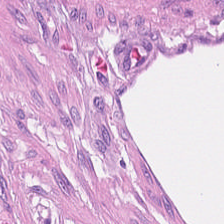H&E-stained tissue section. 20× equivalent magnification — The tissue here is tumor stroma.
